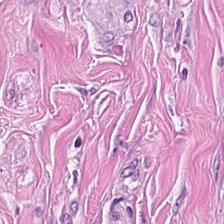Tissue: cancer-associated stroma.
